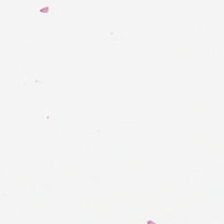20× equivalent magnification · H&E-stained tissue section · WSI patch. Classification: background.
